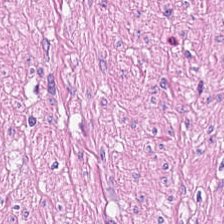Stain: H&E.
Tissue class: smooth-muscle tissue.
